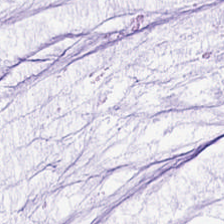Q: What does this patch show?
A: The field shows mucus.
